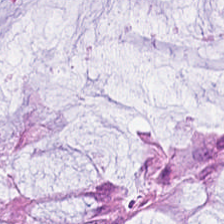H&E-stained tissue section.
The classification is non-neoplastic colon mucosa.
